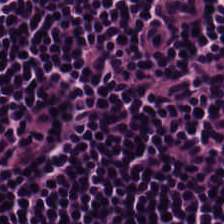FFPE. H&E.
Predominant tissue: lymphocytic infiltrate.
